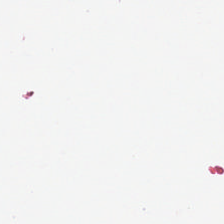0.5 µm per pixel; FFPE; H&E stain — Background.
